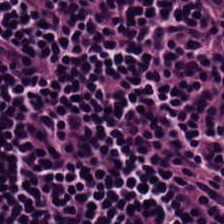Predominant tissue: lymphoid infiltrate.
